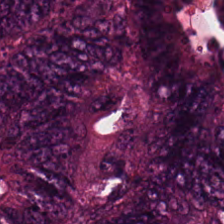{"tissue_type": "colorectal adenocarcinoma epithelium"}
